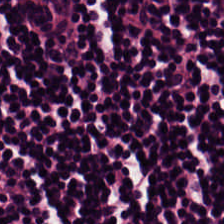H&E-stained tissue section. This patch shows lymphoid infiltrate.
